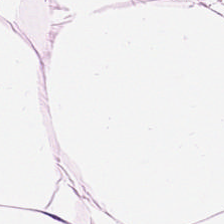H&E-stained tissue section.
Adipose tissue.
